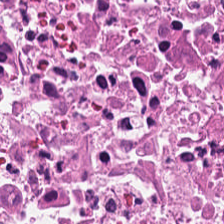H&E — Necrotic debris.
